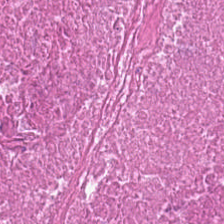Tissue class — necrotic debris.
